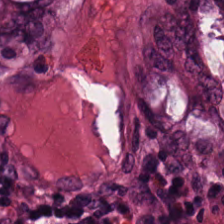The tissue is benign colonic mucosa.
